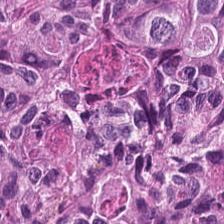H&E-stained tissue section; 224×224 px tile; 0.5 µm/px — The tissue here is adenocarcinoma.
